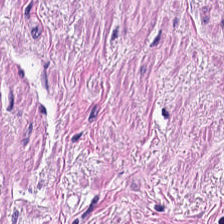Finding → smooth-muscle tissue.
